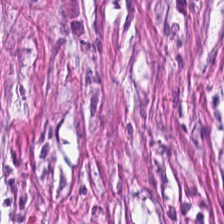The tissue type is cancer-associated stroma.
